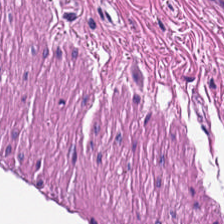Stain: H&E-stained tissue section.
Acquisition: brightfield.
Tissue: smooth-muscle tissue.
